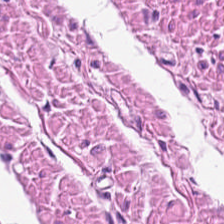H&E. 0.5 µm per pixel. This patch shows muscularis.
